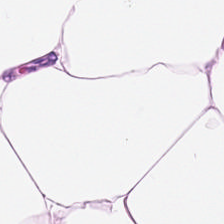Finding → adipose tissue.
